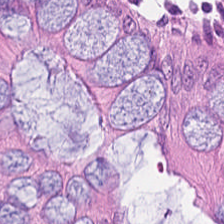H&E-stained tissue section — {"tissue_type": "normal colonic mucosa"}
